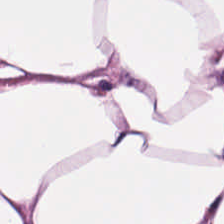Impression — adipose.
